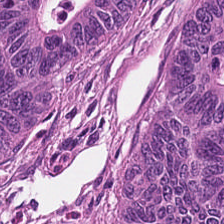H&E stain · formalin-fixed paraffin-embedded section. Q: What tissue type is shown here?
A: This is tumor epithelium.
